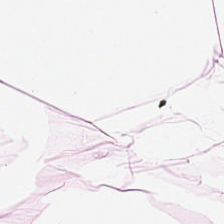Stain: H&E-stained tissue section.
Tile size: 224×224 px tile.
Resolution: 0.5 µm/px.
Tissue type: fat tissue.
